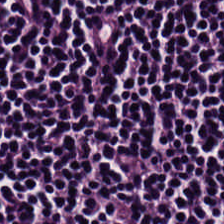Hematoxylin and eosin. {"tissue_type": "lymphoid infiltrate"}
